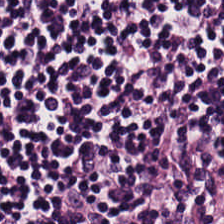Hematoxylin and eosin.
The classification is lymphocyte aggregate.
